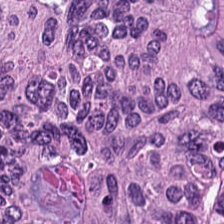H&E stain. This patch shows malignant epithelium.
